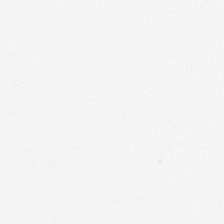224×224 px patch; H&E-stained tissue section. Empty field — no tissue.
